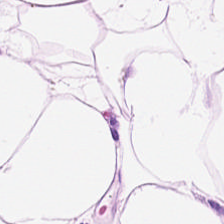Stain: hematoxylin-and-eosin stained section.
Tissue: fat tissue.
